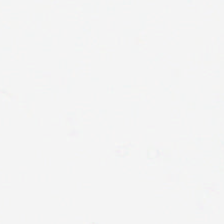Hematoxylin and eosin — {"content": "no tissue"}
